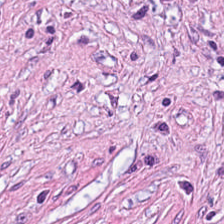H&E-stained tissue section · 0.5 µm per pixel.
Q: What tissue is shown?
A: The field shows desmoplastic stroma.
